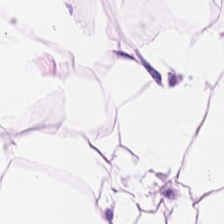This field is fat tissue.
